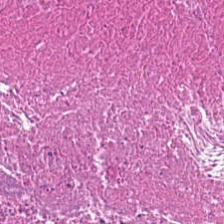Tissue class — debris.
